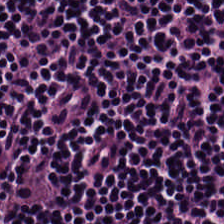H&E. Q: What tissue is shown?
A: Lymphocytic infiltrate.
